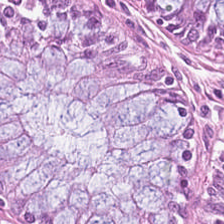WSI patch · FFPE · hematoxylin and eosin — Classification — non-neoplastic colon mucosa.
